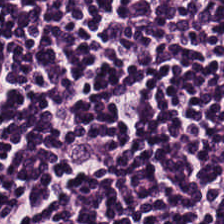Stain: H&E.
Tissue: lymphocyte aggregate.
